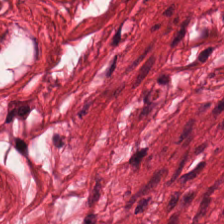H&E — Predominantly smooth muscle.
